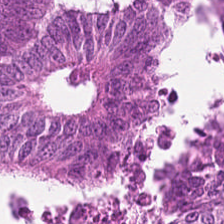H&E-stained tissue section. Showing adenocarcinoma.
